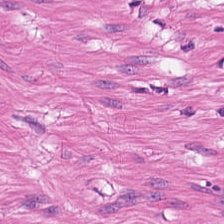Muscularis.
